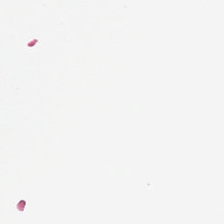H&E — Empty field — no tissue.
